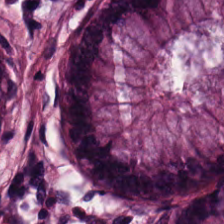FFPE tissue section · H&E. Q: What is shown here?
A: Normal colonic mucosa.
